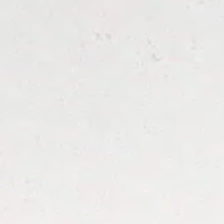H&E stain.
Field content: no tissue.
